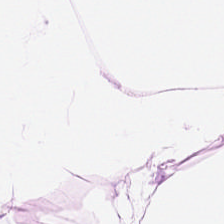Hematoxylin-and-eosin stained section — Adipocytes.
